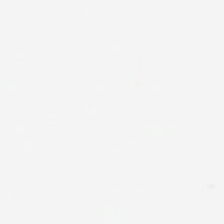No tissue present; background only.
